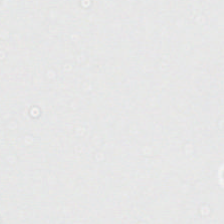0.5 µm/px · H&E-stained tissue section. This field is background (no tissue).
